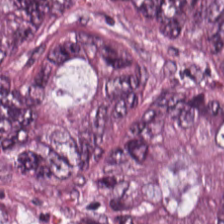The tissue type is colorectal adenocarcinoma epithelium.
